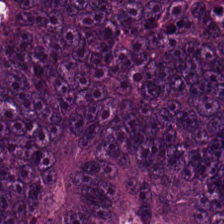Stain: H&E stain.
Resolution: 0.5 µm/px.
Predominant tissue: adenocarcinoma.
